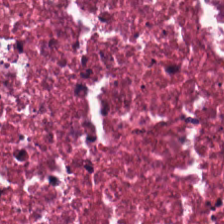Hematoxylin-and-eosin stained section. FFPE tissue section.
Finding → debris.
